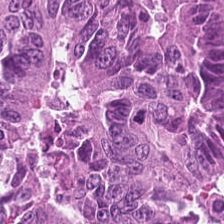224×224 px tile. Hematoxylin-and-eosin stained section. Brightfield. This patch shows malignant epithelium.
